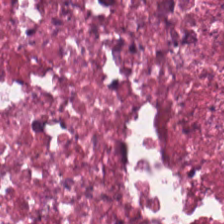Tissue class: necrotic debris.
